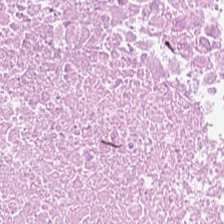224×224 px tile; hematoxylin and eosin — Tissue type = necrotic debris.
